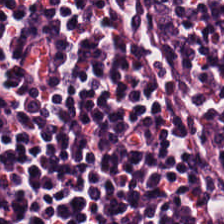H&E — {"tissue_type": "lymphocyte aggregate"}
